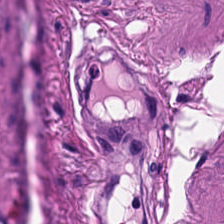Stain: H&E stain.
Preparation: FFPE.
Tissue type: smooth-muscle tissue.
